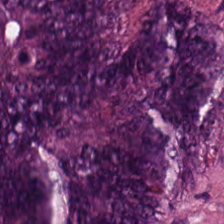H&E stain · 0.5 microns per pixel.
Malignant epithelium.
